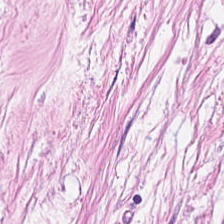Hematoxylin and eosin · brightfield · FFPE.
Predominant tissue: cancer-associated stroma.
